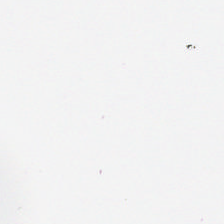{"content": "background (no tissue)"}
